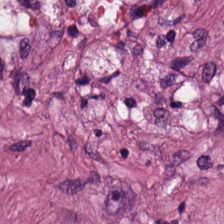Hematoxylin-and-eosin stained section. 20× equivalent magnification.
Q: Identify the tissue.
A: This is desmoplastic stroma.
